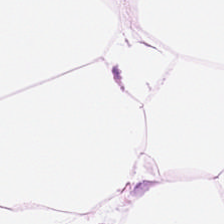Stain: hematoxylin and eosin.
Resolution: 0.5 µm/px.
Classification: adipose.
